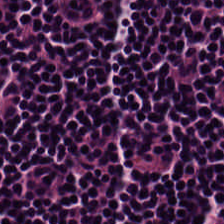H&E-stained tissue section.
{"tissue_type": "lymphocytes"}
